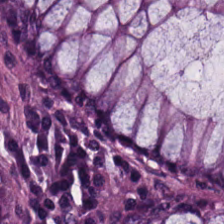Tissue class = non-neoplastic colon mucosa.
